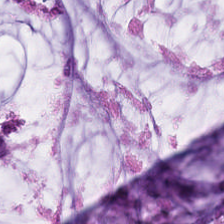Stain: hematoxylin and eosin.
Tile size: 224×224 pixel tile.
Preparation: FFPE tissue section.
Predominant tissue: mucin.
